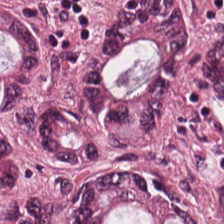Whole-slide-image patch. 224×224 px patch. Hematoxylin-and-eosin stained section. Histology — colorectal adenocarcinoma epithelium.
